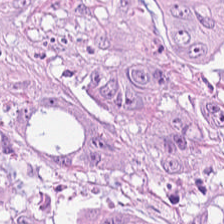Q: What tissue type is shown here?
A: The field shows colorectal adenocarcinoma epithelium.
